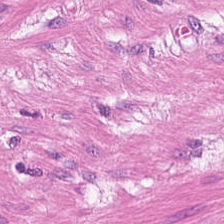224×224 px patch · H&E-stained tissue section.
The predominant tissue is smooth muscle.
